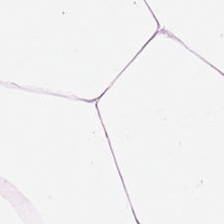Predominantly adipose.
